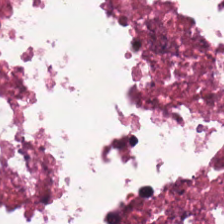{"tissue_type": "necrotic debris"}
